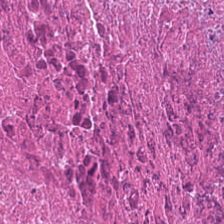Hematoxylin and eosin.
Impression — debris.
